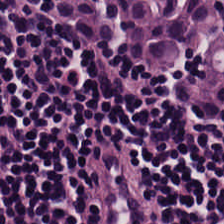H&E stain. 224×224 pixel tile. 0.5 µm per pixel — Q: What type of tissue is this?
A: It is lymphocytes.
